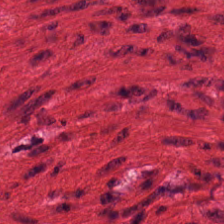0.5 µm/px. H&E stain.
The tissue type is muscularis.
